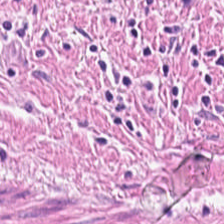Whole-slide-image patch. 20× equivalent magnification. H&E. Tissue class = smooth muscle.
